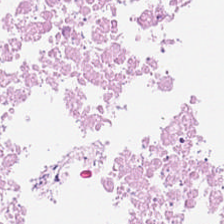H&E stain · 0.5 microns per pixel — Showing cellular debris.
